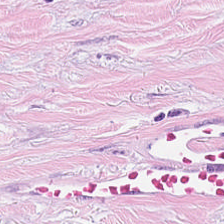Tissue class = tumor-associated stroma.
